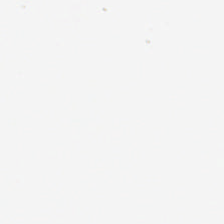Q: What is shown here?
A: This is background (no tissue).
